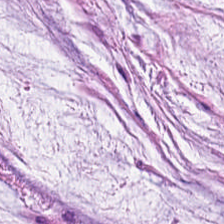H&E-stained tissue section. Formalin-fixed paraffin-embedded section.
{"tissue_type": "mucin"}
